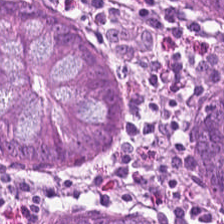Hematoxylin-and-eosin stained section.
Q: Identify the tissue.
A: Normal colon mucosa.
